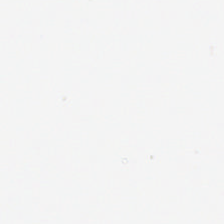H&E-stained tissue section; 0.5 µm/px; FFPE tissue section. Impression → background (no tissue).
